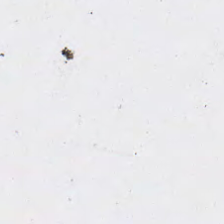Hematoxylin and eosin. Classification = no tissue.
